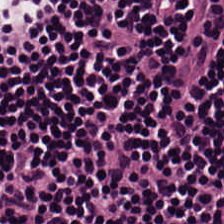This patch shows lymphocytic infiltrate.
